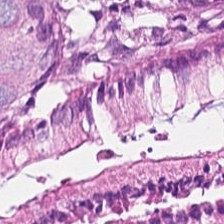H&E stain.
Q: What tissue type is shown here?
A: This is normal colon mucosa.
